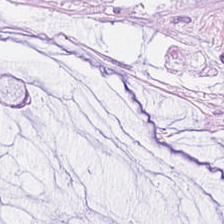224×224 px patch. 0.5 µm per pixel. Hematoxylin and eosin. Tissue type = mucin.
